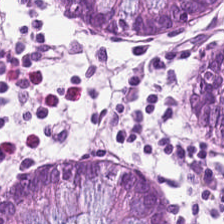Histology — non-neoplastic colon mucosa.
